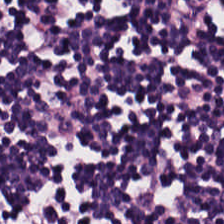H&E-stained tissue section — Tissue — lymphoid infiltrate.
